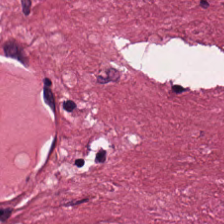WSI patch; hematoxylin-and-eosin stained section.
Q: What type of tissue is this?
A: This is cancer-associated stroma.
